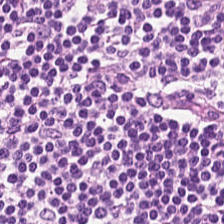FFPE · H&E · 0.5 microns per pixel — The predominant tissue is lymphocyte aggregate.
